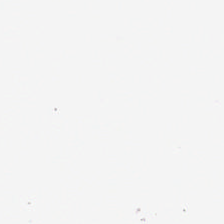H&E-stained tissue section. 224×224 px patch — This field is background (no tissue).
